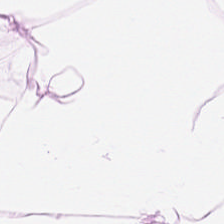Hematoxylin-and-eosin stained section; 20× equivalent magnification. The classification is adipose.
